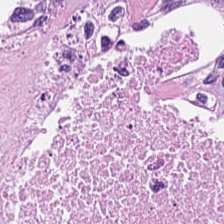Histology → necrotic debris.
